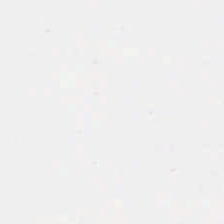Stain: hematoxylin and eosin.
Tile size: 224×224 pixel tile.
Content: no tissue.
